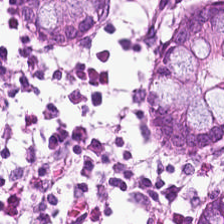Hematoxylin-and-eosin stained section — The tissue is normal colonic mucosa.
